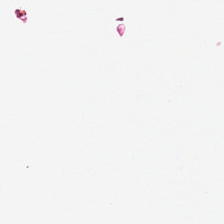H&E. The field content is background.
